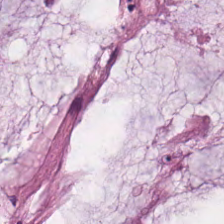H&E — extracellular mucin.
